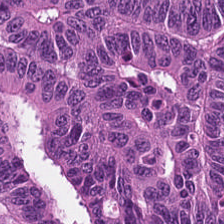0.5 microns per pixel. H&E — The predominant tissue is malignant epithelium.
